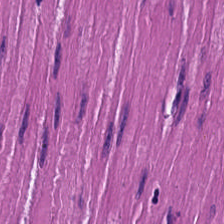Smooth muscle.
